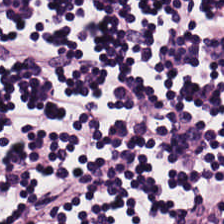Brightfield microscopy. Hematoxylin and eosin. 224×224 pixel tile.
Tissue: lymphoid infiltrate.
